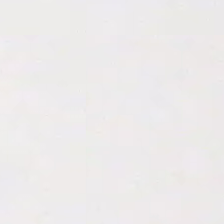Hematoxylin-and-eosin stained section — Classification = background (no tissue).
